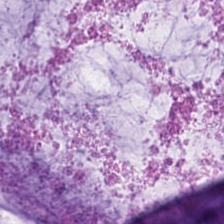Hematoxylin-and-eosin stained section · 0.5 microns per pixel — The tissue type is extracellular mucin.
